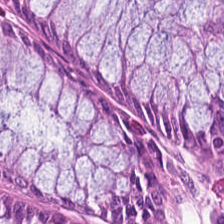Stain: H&E-stained tissue section.
Tissue class: normal colonic mucosa.
